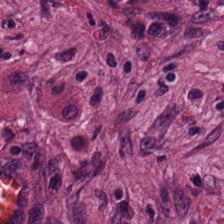Hematoxylin and eosin.
Tissue class — desmoplastic stroma.
